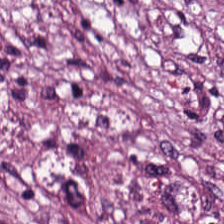H&E-stained tissue section · whole-slide-image patch — Tumor stroma.
